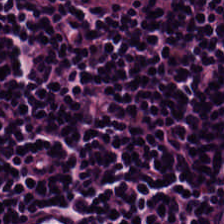H&E stain · WSI patch.
Impression — lymphocyte aggregate.
